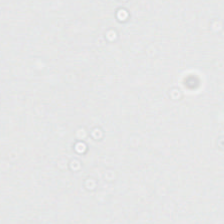H&E-stained tissue section. This field is background (no tissue).
